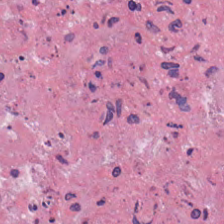Hematoxylin-and-eosin stained section.
Showing cellular debris.
